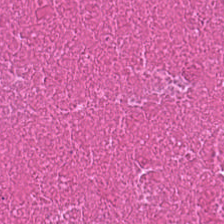Stain: H&E.
Tissue: necrotic debris.
